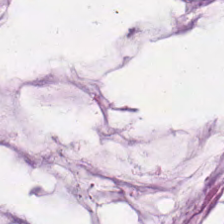H&E — mucus.
